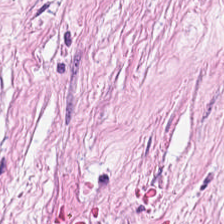{"tissue_type": "tumor-associated stroma"}
